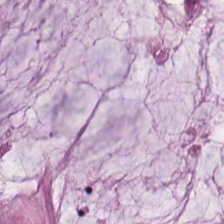Whole-slide-image patch · hematoxylin and eosin · FFPE tissue section.
Q: What type of tissue is this?
A: This is extracellular mucin.
